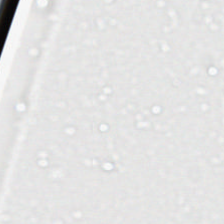Stain: H&E stain.
Field content: background.
